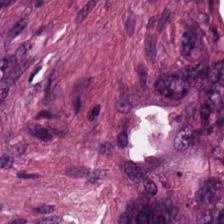20× equivalent magnification; 224×224 px patch; hematoxylin and eosin. Q: What is shown in this field?
A: The field shows adenocarcinoma.
